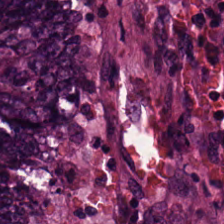Stain: H&E.
Tile size: 224×224 px patch.
Acquisition: brightfield microscopy.
Predominant tissue: malignant epithelium.
